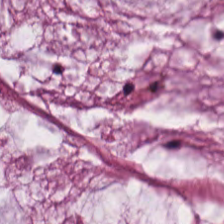H&E stain.
Histology → mucus.
